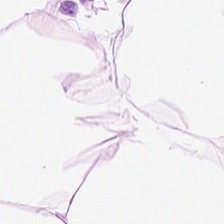Finding → adipose.
